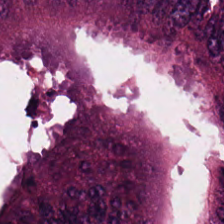The tissue class is colorectal adenocarcinoma.
